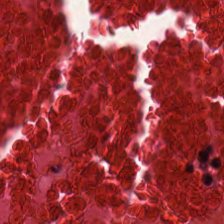Hematoxylin-and-eosin stained section — {"tissue_type": "necrotic debris"}
